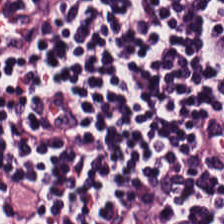Brightfield microscopy · 20× equivalent magnification · H&E — Q: Classify this patch.
A: This is lymphocyte aggregate.
